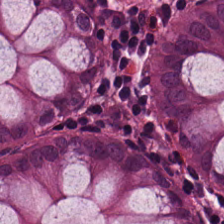H&E stain. Finding → benign colonic mucosa.
